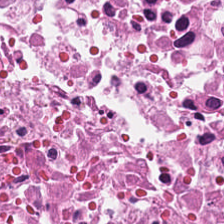H&E.
Histology — cellular debris.
